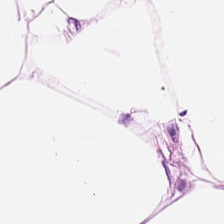Stain: H&E.
Acquisition: brightfield.
Tissue class: adipocytes.
